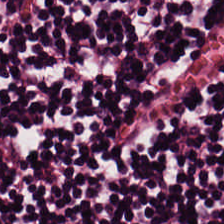H&E stain. This patch shows lymphocytes.
